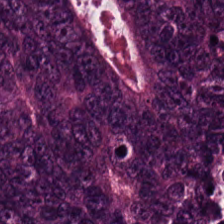H&E-stained tissue section. Q: What tissue type is shown here?
A: The field shows colorectal adenocarcinoma epithelium.
